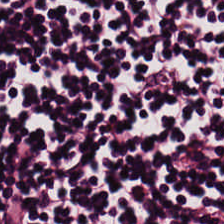H&E-stained tissue section. Predominant tissue — lymphocytic infiltrate.
